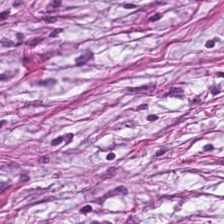Tissue: tumor-associated stroma.
